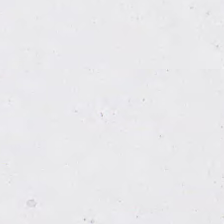H&E. This patch shows background.
